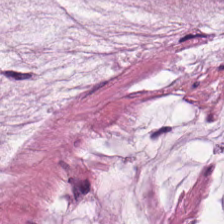FFPE tissue section. 0.5 µm per pixel. H&E stain — This patch shows mucus.
